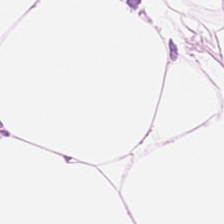Impression — fat tissue.
